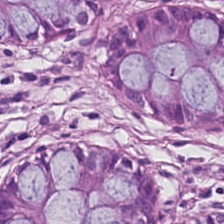H&E.
Histology — non-neoplastic colon mucosa.
